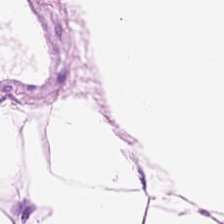H&E-stained tissue section. FFPE tissue section.
Classification = adipose tissue.
